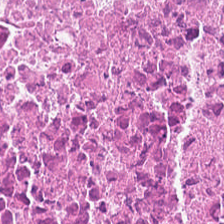H&E. 224×224 pixel tile.
Necrotic debris.
